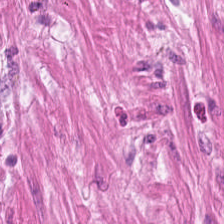Formalin-fixed paraffin-embedded section; H&E; WSI patch — Predominantly smooth muscle.
